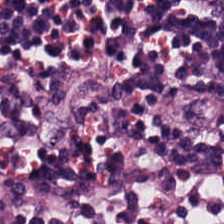Hematoxylin-and-eosin stained section.
Lymphocytic infiltrate.
